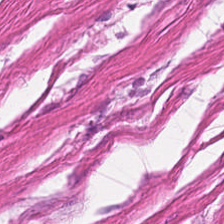Hematoxylin and eosin; 0.5 microns per pixel.
The predominant tissue is muscularis.
